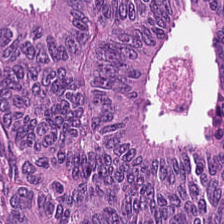Hematoxylin and eosin — The tissue here is tumor epithelium.
